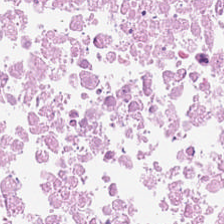H&E-stained tissue section. 20× equivalent magnification. 224×224 px patch — Impression → necrotic debris.
